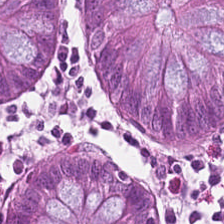224×224 px tile · hematoxylin-and-eosin stained section.
Q: What is the predominant tissue type?
A: It is benign colonic mucosa.
